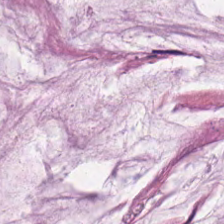Tissue class — mucin.
